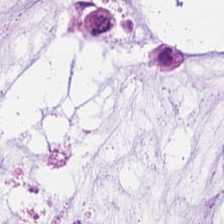FFPE; H&E — Tissue class: mucin.
